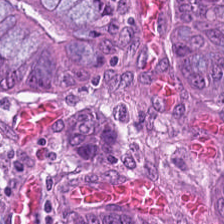Hematoxylin-and-eosin stained section. Q: What is shown in this field?
A: It is adenocarcinoma.
